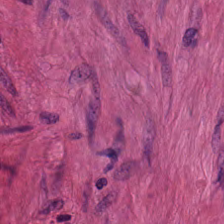H&E; FFPE tissue section.
The tissue here is smooth muscle.
